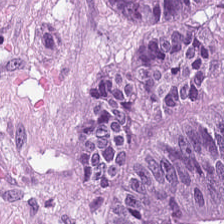Hematoxylin-and-eosin stained section. Q: What is the predominant tissue type?
A: This is colorectal adenocarcinoma.
